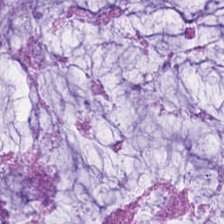Classification = extracellular mucin.
